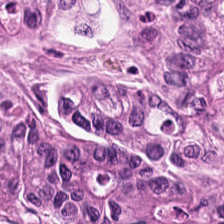H&E stain. Tissue class = tumor epithelium.
